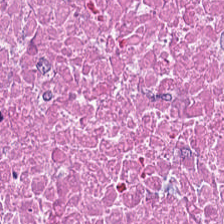Brightfield; H&E stain — Q: What is shown in this field?
A: The field shows debris.
